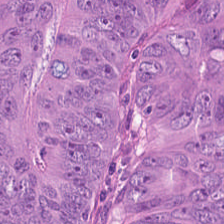H&E stain.
The predominant tissue is adenocarcinoma.
